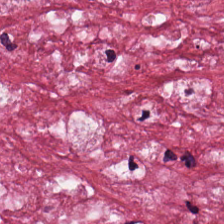0.5 microns per pixel. H&E. FFPE.
The predominant tissue is tumor stroma.
